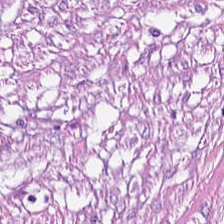H&E-stained tissue section.
Tissue type: cancer-associated stroma.
